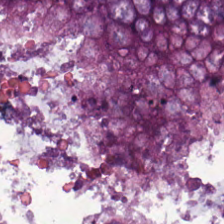FFPE tissue section; H&E.
The tissue class is adenocarcinoma.
